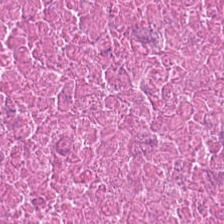0.5 µm per pixel. 224×224 px tile. H&E-stained tissue section. Q: What is shown in this field?
A: Necrotic debris.
